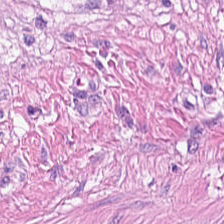H&E stain — This field is smooth-muscle tissue.
